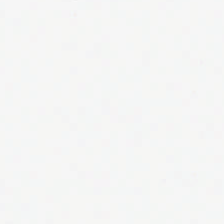Stain: H&E.
Acquisition: whole-slide-image patch.
Field content: no tissue.
